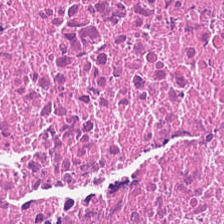Histology → cellular debris.
